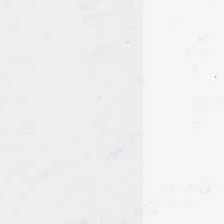0.5 µm/px · hematoxylin and eosin.
This patch shows empty background.
